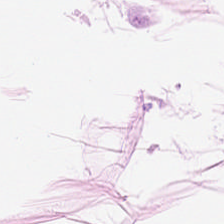224×224 pixel tile. FFPE tissue section. Hematoxylin and eosin — The predominant tissue is adipose.
